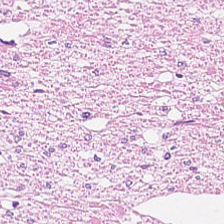Hematoxylin and eosin.
This field is smooth-muscle tissue.
